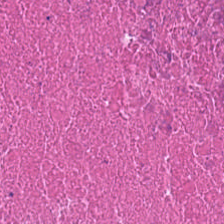H&E stain. 0.5 µm per pixel — This patch shows cellular debris.
